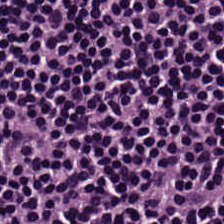Finding → lymphoid infiltrate.
